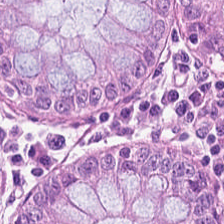Q: What tissue is shown?
A: The field shows non-neoplastic colon mucosa.
